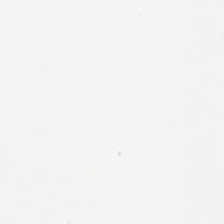H&E stain. Background (no tissue).
